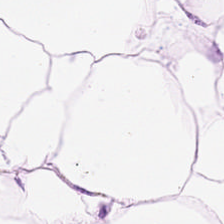Stain: hematoxylin and eosin.
Tissue class: adipose tissue.
